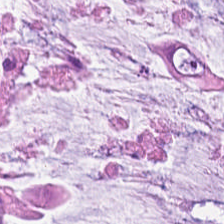Q: Classify this patch.
A: Extracellular mucin.
